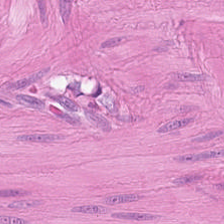0.5 µm per pixel. H&E. Muscularis.
